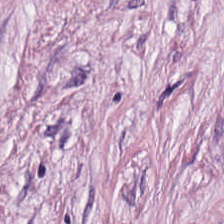{"tissue_type": "cancer-associated stroma"}
